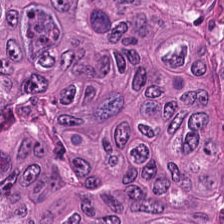Stain: hematoxylin and eosin.
Tissue: tumor epithelium.
